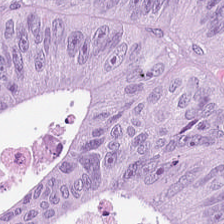FFPE · H&E · 0.5 µm per pixel — {"tissue_type": "malignant epithelium"}
